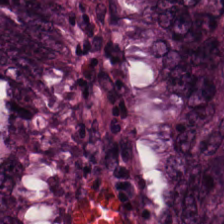Q: What type of tissue is this?
A: This is adenocarcinoma.
